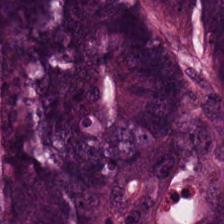H&E stain. Q: What is the predominant tissue type?
A: The field shows malignant epithelium.
